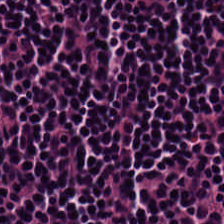224×224 px patch; H&E; 20× equivalent magnification — Predominant tissue = lymphocytes.
